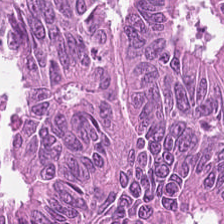The tissue class is malignant epithelium.
